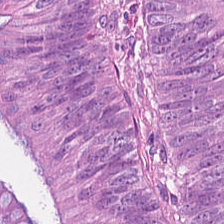Impression — colorectal adenocarcinoma.
